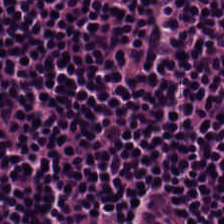Q: What is shown in this field?
A: The field shows lymphoid infiltrate.
